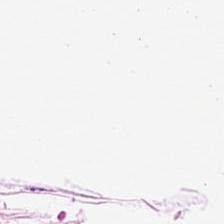The tissue type is adipocytes.
